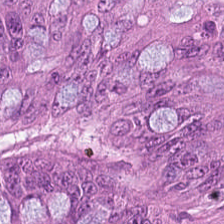224×224 px patch. H&E-stained tissue section — Colorectal adenocarcinoma epithelium.
